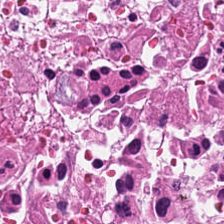Hematoxylin and eosin · 0.5 microns per pixel. Q: What tissue is shown?
A: Debris.
